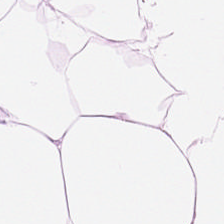H&E-stained tissue section. Brightfield microscopy — This patch shows adipose tissue.
